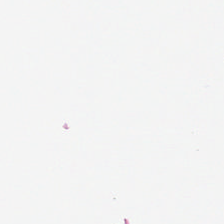Stain: hematoxylin-and-eosin stained section.
Field content: background (no tissue).
